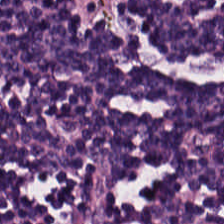H&E-stained tissue section. 224×224 px tile.
Lymphoid infiltrate.
